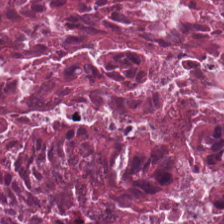Tissue — necrotic debris.
